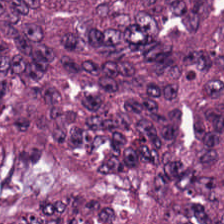224×224 px tile · H&E.
Q: What type of tissue is this?
A: The field shows colorectal adenocarcinoma epithelium.
